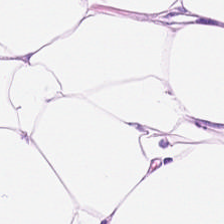H&E — Histology — adipocytes.
